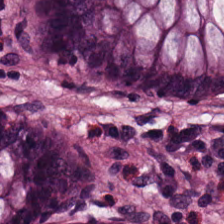Stain: H&E.
Tissue type: non-neoplastic colon mucosa.
